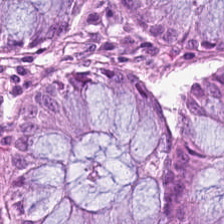{"tissue_type": "normal colon mucosa"}
